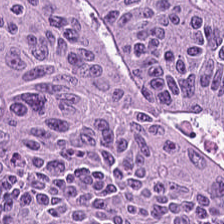Brightfield. H&E stain. 224×224 px patch — The tissue is adenocarcinoma.
